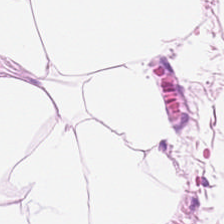H&E-stained tissue section · 224×224 px patch. Predominantly adipose.
